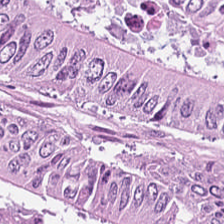Stain: hematoxylin-and-eosin stained section.
Preparation: FFPE.
Tile size: 224×224 px tile.
Tissue: colorectal adenocarcinoma.
